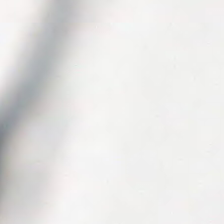H&E. Content: background.
